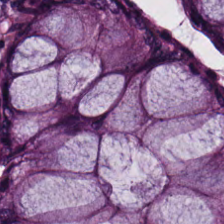224×224 px tile; hematoxylin-and-eosin stained section — Q: What type of tissue is this?
A: This is benign colonic mucosa.
